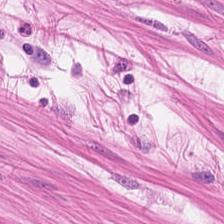H&E.
Finding — muscularis.
